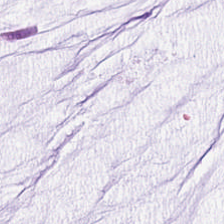H&E stain — Tissue: mucus.
